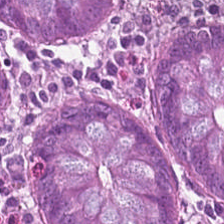Brightfield microscopy; FFPE; H&E-stained tissue section.
Predominantly non-neoplastic colon mucosa.
